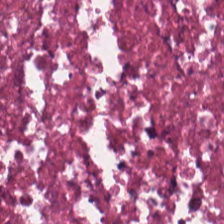Tissue type — debris.
